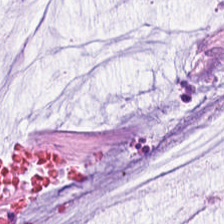0.5 microns per pixel; H&E. This patch shows extracellular mucin.
